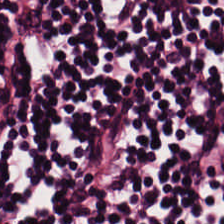H&E-stained tissue section — The tissue here is lymphocytic infiltrate.
